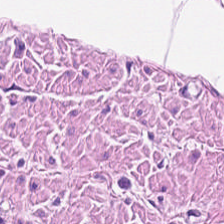The predominant tissue is smooth-muscle tissue.
